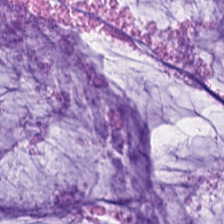224×224 px patch · H&E-stained tissue section · 0.5 microns per pixel. The tissue type is mucin.
